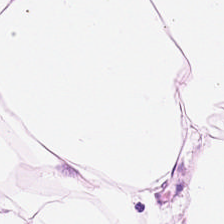H&E stain.
The tissue class is adipocytes.
